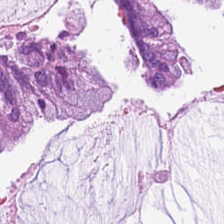Hematoxylin and eosin — The tissue here is mucin.
